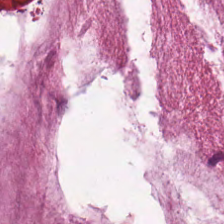FFPE · H&E — Extracellular mucin.
